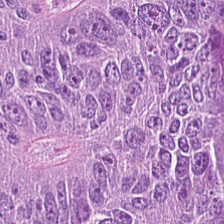The predominant tissue is colorectal adenocarcinoma epithelium.
